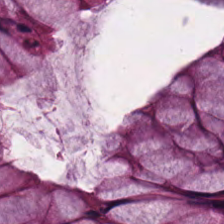Stain: H&E.
Resolution: 0.5 µm per pixel.
Tissue class: non-neoplastic colon mucosa.
